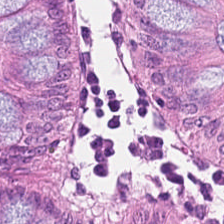Whole-slide-image patch. Hematoxylin and eosin.
Tissue class = non-neoplastic colon mucosa.
